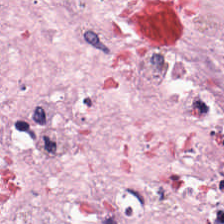Stain: H&E-stained tissue section.
Preparation: formalin-fixed paraffin-embedded section.
Tissue type: desmoplastic stroma.
